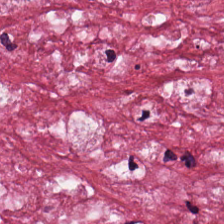Hematoxylin-and-eosin stained section · FFPE. Tissue type = cancer-associated stroma.
